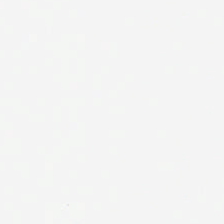Hematoxylin-and-eosin stained section. Whole-slide-image patch. FFPE.
Q: Classify this patch.
A: The field shows empty background.
